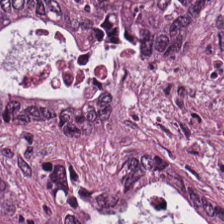Colorectal adenocarcinoma.
